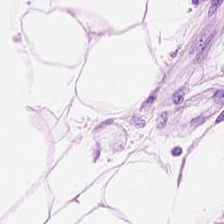Hematoxylin and eosin. FFPE tissue section. Q: What is shown in this field?
A: The field shows adipose tissue.
